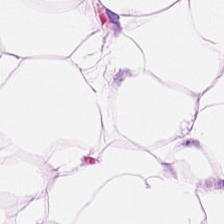H&E. FFPE tissue section. Histology → adipose.
